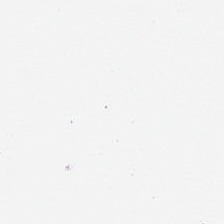H&E-stained tissue section — Q: What is shown here?
A: This is background.
